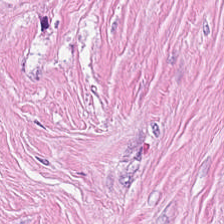Q: Identify the tissue.
A: This is tumor stroma.
